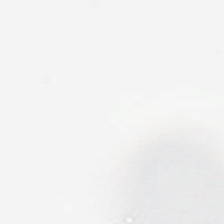224×224 px tile · H&E · brightfield.
This patch shows background.
